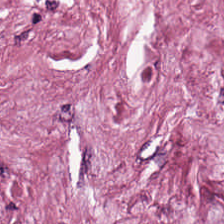Predominant tissue: tumor-associated stroma.
